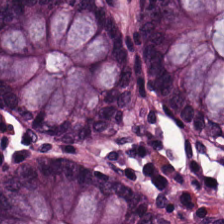Stain: H&E stain.
Tissue: non-neoplastic colon mucosa.
